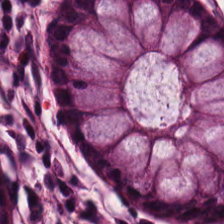224×224 pixel tile; H&E; WSI patch.
{"tissue_type": "benign colonic mucosa"}
